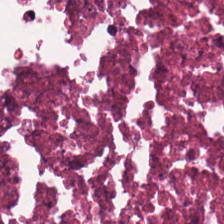Hematoxylin-and-eosin stained section. FFPE. Tissue = cellular debris.
